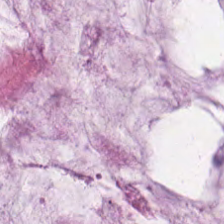Mucus.
